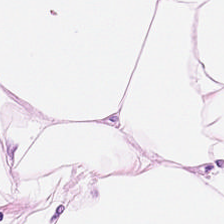Hematoxylin and eosin; FFPE — The classification is adipose tissue.
